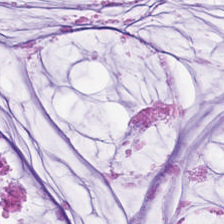FFPE; 20× equivalent magnification; H&E-stained tissue section. Histology — extracellular mucin.
